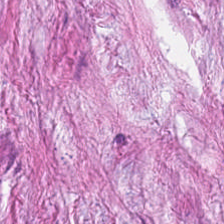Hematoxylin-and-eosin stained section. Classification = cancer-associated stroma.
